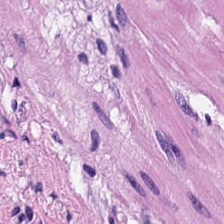Showing smooth muscle.
